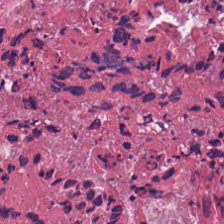H&E-stained tissue section. Q: What is shown here?
A: It is necrotic debris.
